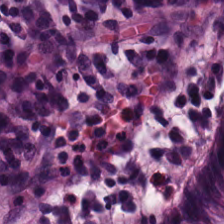Brightfield. 224×224 px patch. Hematoxylin and eosin — The predominant tissue is non-neoplastic colon mucosa.
